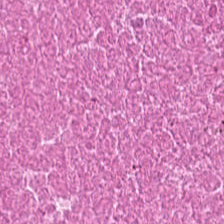Stain: H&E.
Tissue class: debris.
